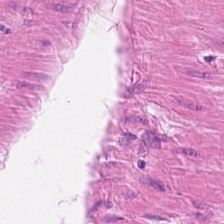Stain: H&E.
Predominant tissue: smooth-muscle tissue.
